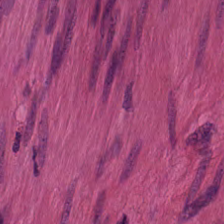Stain: hematoxylin and eosin.
Tissue: smooth-muscle tissue.
